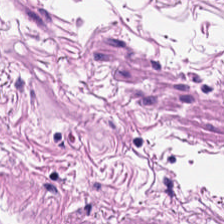Hematoxylin and eosin. {"tissue_type": "smooth muscle"}
